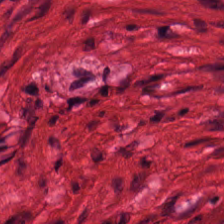The predominant tissue is smooth muscle.
